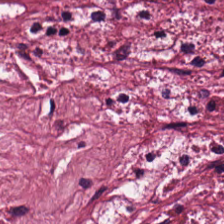0.5 µm per pixel · H&E stain — Showing cancer-associated stroma.
